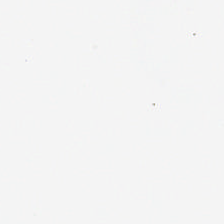H&E-stained tissue section — {"content": "no tissue"}
